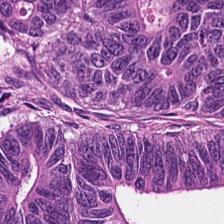Predominantly colorectal adenocarcinoma.
